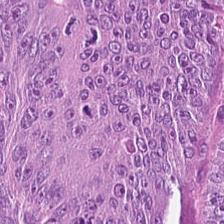224×224 px tile. WSI patch. H&E-stained tissue section — Q: What tissue is shown?
A: This is tumor epithelium.
